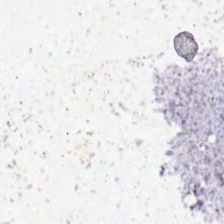Content: background.
